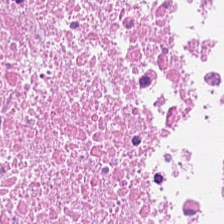FFPE. H&E-stained tissue section — Cellular debris.
